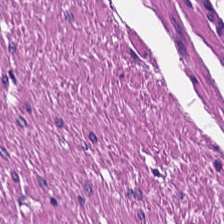Whole-slide-image patch · H&E-stained tissue section. The tissue type is smooth-muscle tissue.
